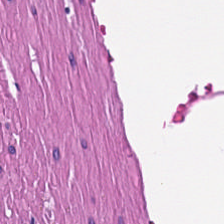Q: Identify the tissue.
A: The field shows smooth muscle.
